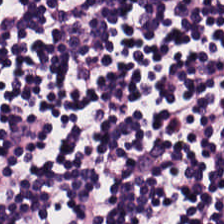Hematoxylin-and-eosin stained section. Tissue type — lymphocytic infiltrate.
